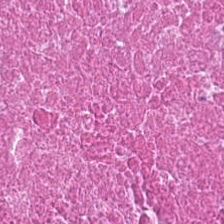Stain: H&E stain.
Preparation: FFPE.
Predominant tissue: necrotic debris.
